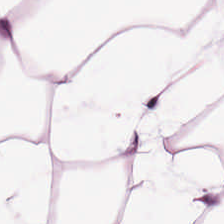H&E — The tissue here is adipose.
